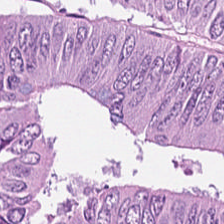224×224 px tile. H&E stain. Tissue: colorectal adenocarcinoma.
